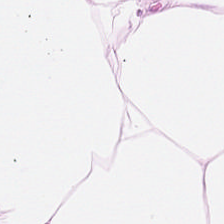Stain: H&E stain.
Predominant tissue: fat tissue.
